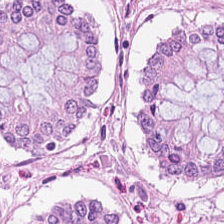224×224 px tile · hematoxylin and eosin — This field is benign colonic mucosa.
